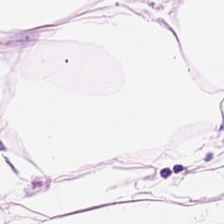FFPE tissue section · hematoxylin-and-eosin stained section — Q: Identify the tissue.
A: The field shows fat tissue.
